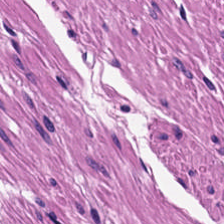Hematoxylin-and-eosin stained section — Predominant tissue — muscularis.
